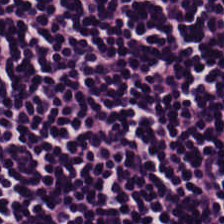H&E · FFPE.
Tissue class = lymphocytic infiltrate.
